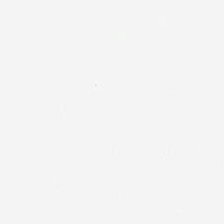224×224 pixel tile; hematoxylin and eosin.
This field is background (no tissue).
